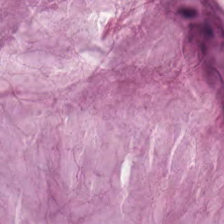H&E-stained tissue section. Tissue class: mucin.
